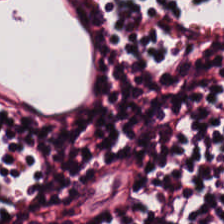Hematoxylin and eosin. Q: Identify the tissue.
A: Lymphocyte aggregate.
